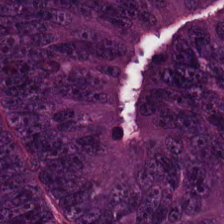Hematoxylin-and-eosin stained section; 20× equivalent magnification. Tissue type: malignant epithelium.
